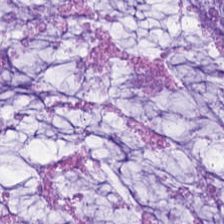H&E-stained tissue section.
Q: Classify this patch.
A: Mucus.
